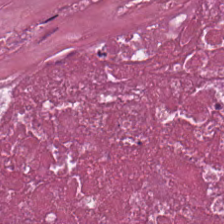Whole-slide-image patch; 0.5 µm/px; hematoxylin-and-eosin stained section. The predominant tissue is cellular debris.
